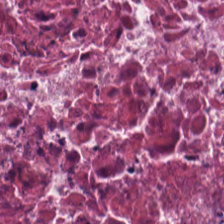H&E-stained tissue section. Formalin-fixed paraffin-embedded section.
Finding — necrotic debris.
